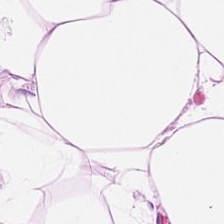H&E. This field is fat tissue.
